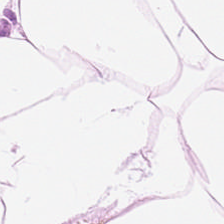FFPE; hematoxylin and eosin. Classification = fat tissue.
